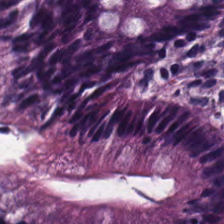The predominant tissue is benign colonic mucosa.
